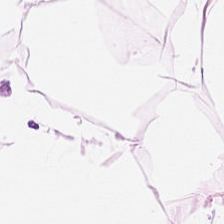Impression — fat tissue.
